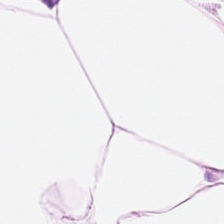Impression → adipose.
